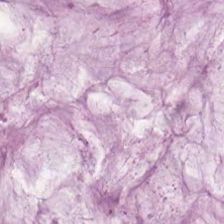This patch shows mucin.
